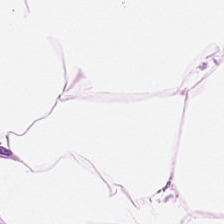Predominantly fat tissue.
